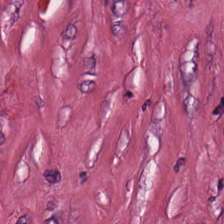224×224 pixel tile; hematoxylin-and-eosin stained section.
Predominant tissue — tumor-associated stroma.
